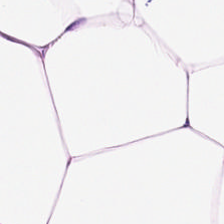Formalin-fixed paraffin-embedded section; H&E stain. Fat tissue.
